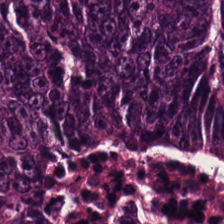Stain: H&E stain.
Tissue: adenocarcinoma.
